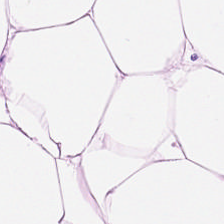Hematoxylin and eosin. This field is adipose tissue.
